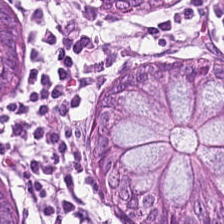H&E-stained tissue section. 0.5 microns per pixel. Formalin-fixed paraffin-embedded section.
Tissue: normal colon mucosa.
